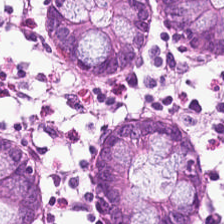Non-neoplastic colon mucosa.
